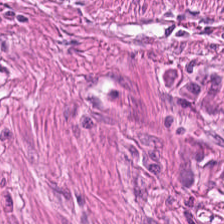Stain: hematoxylin-and-eosin stained section.
Classification: muscularis.
